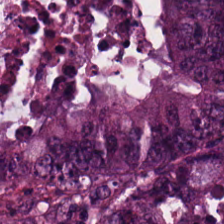H&E. Colorectal adenocarcinoma.
